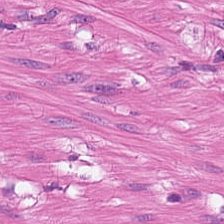H&E stain. 0.5 microns per pixel.
This patch shows smooth muscle.
